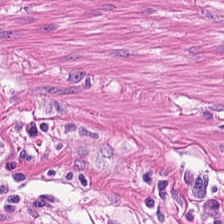Brightfield; H&E stain — Impression → smooth muscle.
